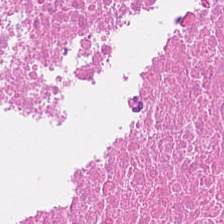Hematoxylin and eosin. The tissue here is cellular debris.
